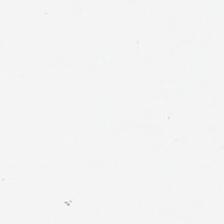WSI patch; hematoxylin and eosin. The content is background (no tissue).
